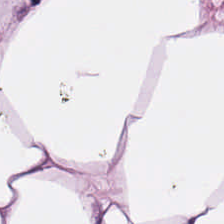Formalin-fixed paraffin-embedded section · whole-slide-image patch · H&E stain.
Tissue type: adipose.
